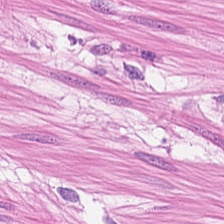224×224 pixel tile; H&E stain — Showing smooth muscle.
